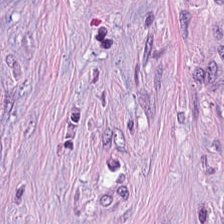Q: What tissue type is shown here?
A: Cancer-associated stroma.
